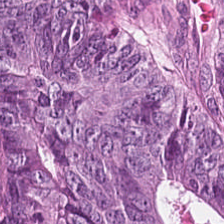Q: What is shown in this field?
A: The field shows colorectal adenocarcinoma epithelium.
